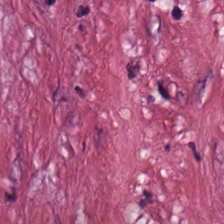Stain: H&E.
Classification: tumor stroma.
